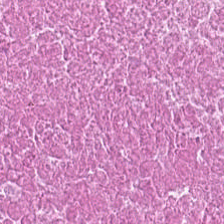0.5 µm/px · hematoxylin-and-eosin stained section.
The predominant tissue is necrotic debris.
